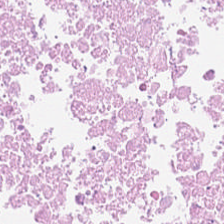Histology → cellular debris.
